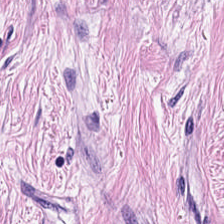Hematoxylin-and-eosin stained section.
Tissue: desmoplastic stroma.
